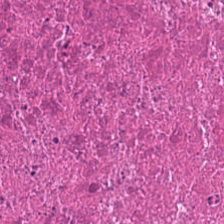Classification — necrotic debris.
